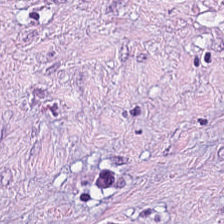Tissue class — tumor stroma.
